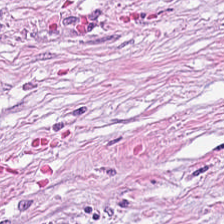Finding — cancer-associated stroma.
